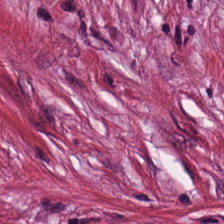Hematoxylin and eosin · 20× equivalent magnification.
Showing desmoplastic stroma.
